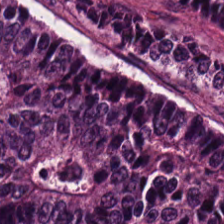Hematoxylin and eosin — Predominant tissue = malignant epithelium.
